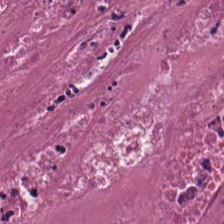WSI patch; H&E-stained tissue section — Q: What does this patch show?
A: The field shows necrotic debris.
